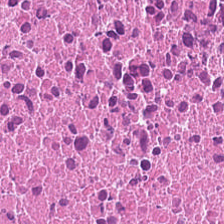H&E; FFPE tissue section. {"tissue_type": "cellular debris"}
